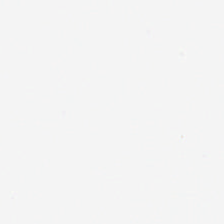Brightfield · hematoxylin-and-eosin stained section · 0.5 microns per pixel. Field content — background (no tissue).
